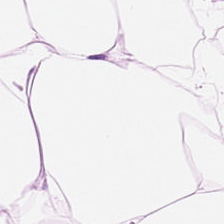0.5 µm/px · hematoxylin-and-eosin stained section · brightfield microscopy.
Q: What tissue type is shown here?
A: It is adipose tissue.
